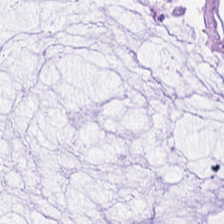Histology → mucin.
